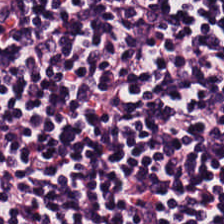H&E stain — The tissue is lymphoid infiltrate.
